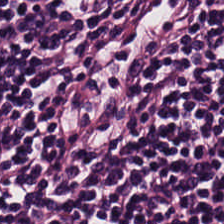WSI patch; FFPE tissue section; hematoxylin-and-eosin stained section.
This patch shows lymphocytic infiltrate.
